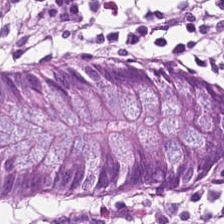This field is normal colon mucosa.
